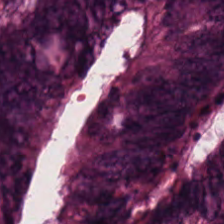FFPE. Hematoxylin and eosin — Finding → adenocarcinoma.
